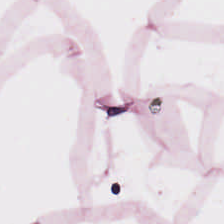224×224 px patch · hematoxylin and eosin. Classification: adipose tissue.
